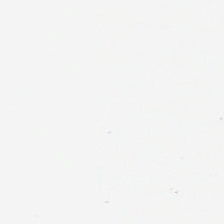H&E stain — This field is background (no tissue).
